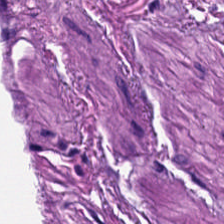H&E-stained tissue section — Showing smooth muscle.
